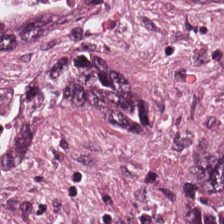H&E stain.
Q: What tissue type is shown here?
A: It is colorectal adenocarcinoma.
